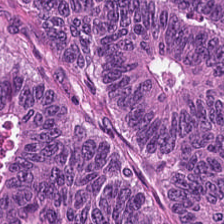H&E; FFPE.
Tumor epithelium.
